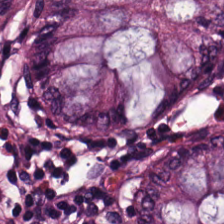H&E stain. 0.5 µm/px.
Showing non-neoplastic colon mucosa.
